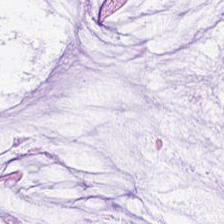The tissue class is mucin.
